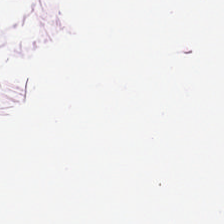Hematoxylin-and-eosin stained section; WSI patch. Impression → fat tissue.
